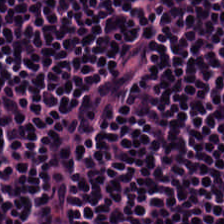Hematoxylin and eosin — Classification — lymphoid infiltrate.
